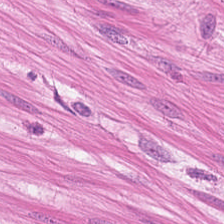H&E stain — Q: Classify this patch.
A: Smooth-muscle tissue.
